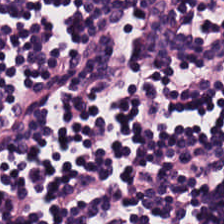H&E patch showing lymphocytic infiltrate.
